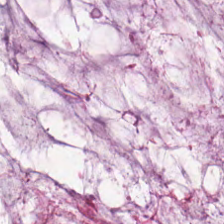Hematoxylin-and-eosin section: mucin.
